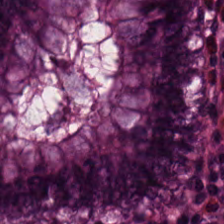H&E stain. Formalin-fixed paraffin-embedded section — This patch shows normal colon mucosa.
